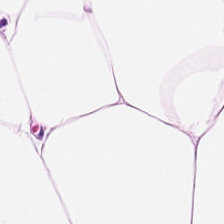H&E — fat tissue.
